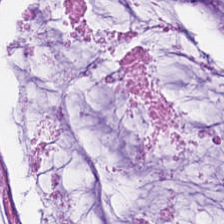Q: What type of tissue is this?
A: The field shows extracellular mucin.
